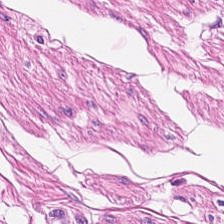H&E stain. WSI patch.
Tissue class — smooth muscle.
